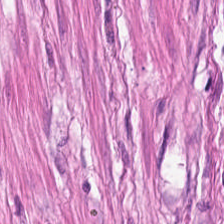Brightfield; 224×224 px patch; hematoxylin and eosin. Muscularis.
